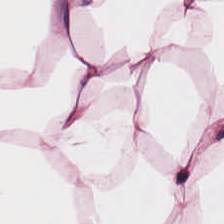Stain: hematoxylin-and-eosin stained section.
Tile size: 224×224 px patch.
Acquisition: whole-slide-image patch.
Predominant tissue: adipocytes.
